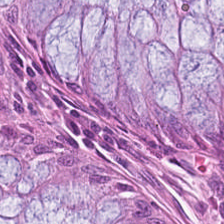H&E stain — This field is non-neoplastic colon mucosa.
